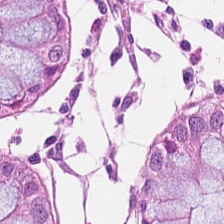Stain: hematoxylin and eosin.
Resolution: 20× equivalent magnification.
Classification: normal colon mucosa.
